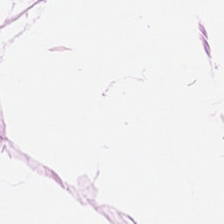Hematoxylin and eosin — The predominant tissue is fat tissue.
